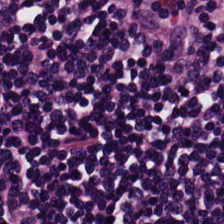Hematoxylin and eosin.
This patch shows lymphocytes.
